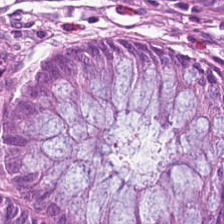{"tissue_type": "normal colonic mucosa"}
